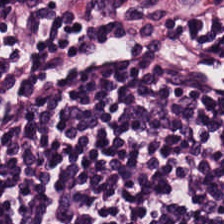H&E stain.
Lymphocyte aggregate.
